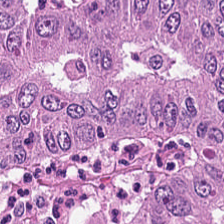Hematoxylin and eosin. FFPE. Brightfield microscopy — Q: What does this patch show?
A: It is adenocarcinoma.
